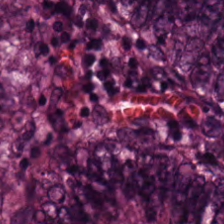H&E. Q: What type of tissue is this?
A: This is malignant epithelium.
